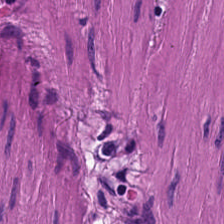Hematoxylin-and-eosin stained section; 20× equivalent magnification.
Impression → muscularis.
